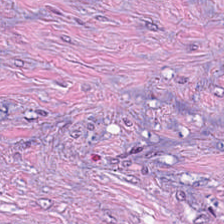This patch shows tumor-associated stroma.
